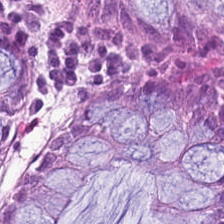H&E. Q: What is the predominant tissue type?
A: This is normal colonic mucosa.
